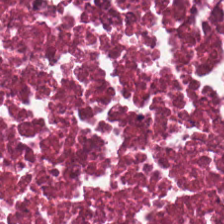Hematoxylin and eosin. FFPE tissue section. 0.5 µm per pixel.
The predominant tissue is necrotic debris.
